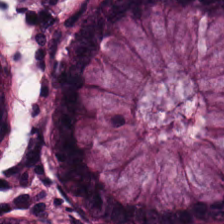H&E-stained tissue section — Q: What is the predominant tissue type?
A: The field shows normal colonic mucosa.
